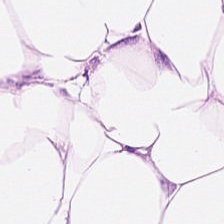Hematoxylin and eosin. Formalin-fixed paraffin-embedded section. {"tissue_type": "fat tissue"}
